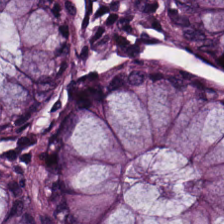FFPE tissue section. Hematoxylin-and-eosin stained section — The predominant tissue is normal colonic mucosa.
